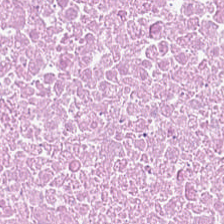Whole-slide-image patch. FFPE tissue section. Hematoxylin and eosin — This field is debris.
